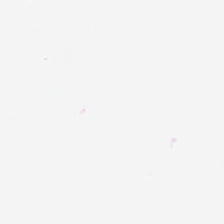No tissue present; background only.
